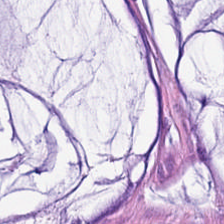224×224 pixel tile; H&E stain.
Tissue class — extracellular mucin.
